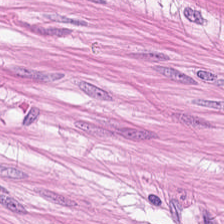H&E-stained tissue section — The tissue here is smooth muscle.
